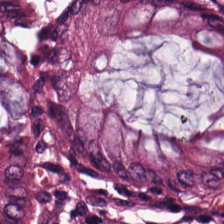H&E-stained tissue section — Predominantly benign colonic mucosa.
